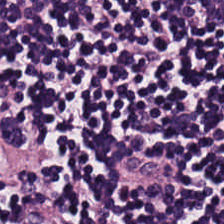H&E-stained tissue section.
Q: What is shown in this field?
A: The field shows lymphocytes.
